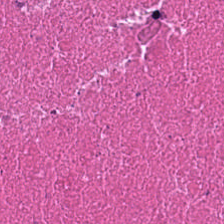Q: What is shown here?
A: This is cellular debris.
